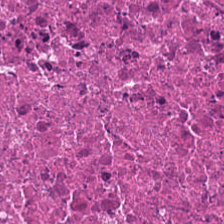{"tissue_type": "debris"}
